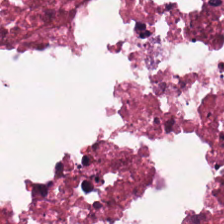H&E — debris.
